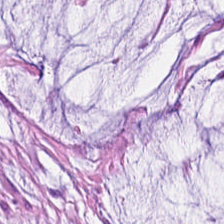Histology — mucin.
